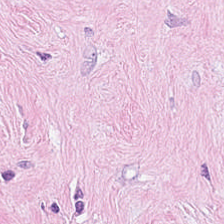H&E; 20× equivalent magnification; whole-slide-image patch.
Predominant tissue = tumor-associated stroma.
